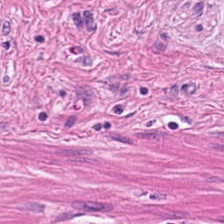H&E.
Q: What is shown in this field?
A: The field shows smooth-muscle tissue.
